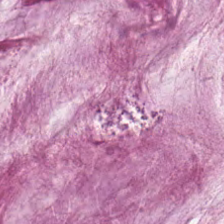Formalin-fixed paraffin-embedded section; H&E stain — Q: What is shown here?
A: It is mucus.
